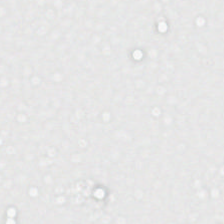The field content is background.
